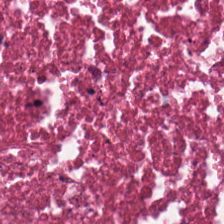FFPE. Hematoxylin-and-eosin stained section. 0.5 microns per pixel.
Q: What is the predominant tissue type?
A: This is debris.
